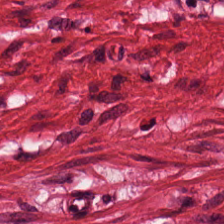H&E — Q: Identify the tissue.
A: It is smooth-muscle tissue.
